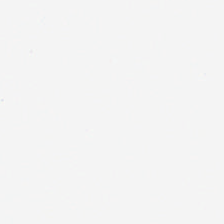Field content — empty background.
